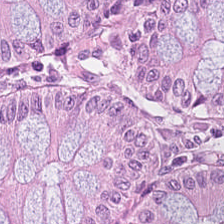Stain: H&E stain.
Resolution: 0.5 µm per pixel.
Preparation: formalin-fixed paraffin-embedded section.
Predominant tissue: benign colonic mucosa.
